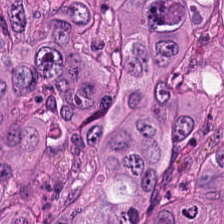224×224 pixel tile; H&E stain. Showing colorectal adenocarcinoma.
